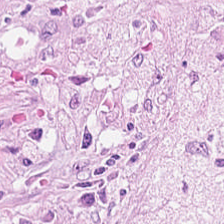Tissue = cancer-associated stroma.
